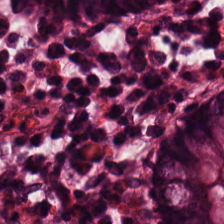FFPE. Hematoxylin-and-eosin stained section. 0.5 µm/px. The tissue here is normal colon mucosa.
